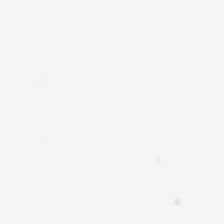H&E — Q: Classify this patch.
A: The field shows background (no tissue).
